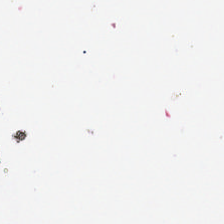Q: What is shown here?
A: The field shows empty background.
